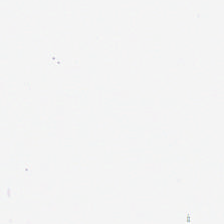H&E-stained tissue section. Q: What is shown in this field?
A: It is no tissue.
